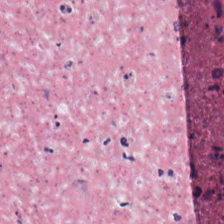Hematoxylin-and-eosin stained section. Tissue class — cellular debris.
